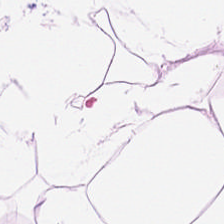Hematoxylin and eosin; brightfield microscopy. Q: Identify the tissue.
A: This is adipose.
